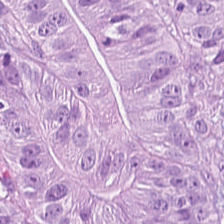0.5 µm per pixel · hematoxylin-and-eosin stained section · 224×224 px patch. {"tissue_type": "malignant epithelium"}
